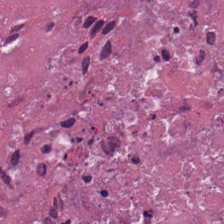Stain: H&E-stained tissue section.
Classification: cellular debris.
